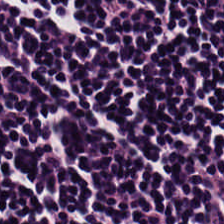H&E-stained tissue section. Q: What tissue type is shown here?
A: It is lymphocyte aggregate.
